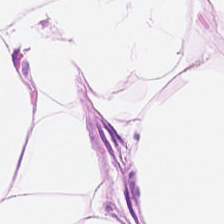H&E-stained tissue section; 0.5 microns per pixel.
This field is adipose.
